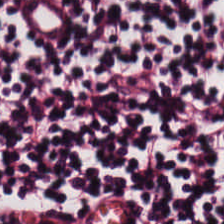WSI patch · hematoxylin and eosin. Impression → lymphocyte aggregate.
